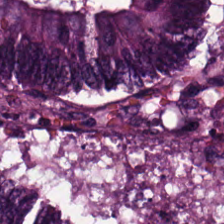WSI patch; H&E stain — {"tissue_type": "malignant epithelium"}
